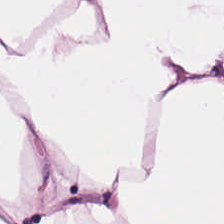H&E patch showing adipose.
